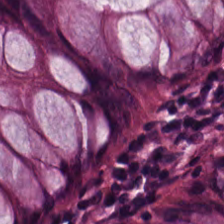H&E-stained tissue section; 0.5 microns per pixel.
{"tissue_type": "benign colonic mucosa"}
